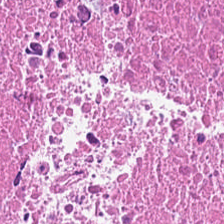20× equivalent magnification. H&E-stained tissue section. {"tissue_type": "necrotic debris"}
